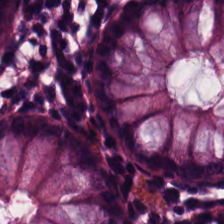Stain: H&E stain.
Tissue type: normal colonic mucosa.
